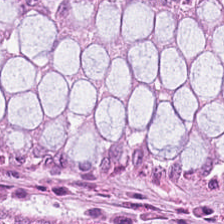H&E; 224×224 px patch; formalin-fixed paraffin-embedded section — This field is normal colonic mucosa.
